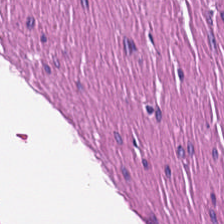H&E stain.
Tissue type = muscularis.
